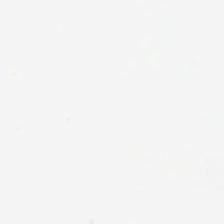Histology — no tissue.
